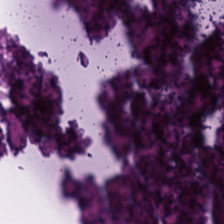H&E stain · WSI patch. Showing necrotic debris.
